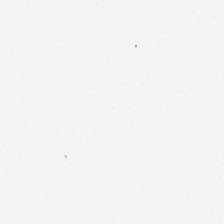H&E — Classification = background.
